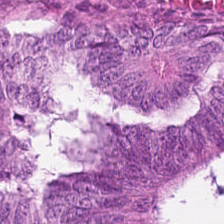Hematoxylin-and-eosin stained section. {"tissue_type": "malignant epithelium"}
